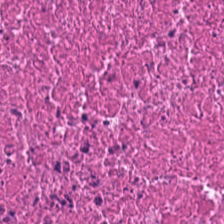H&E stain. This field is cellular debris.
